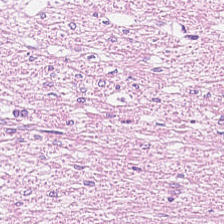H&E-stained tissue section.
The tissue is smooth-muscle tissue.
